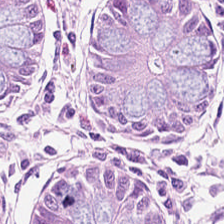H&E. 224×224 px patch. Brightfield microscopy. Q: What tissue type is shown here?
A: This is normal colonic mucosa.
